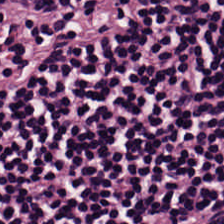Hematoxylin-and-eosin stained section. Impression → lymphocytic infiltrate.
